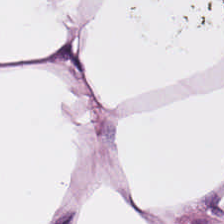H&E — Q: What is the predominant tissue type?
A: It is fat tissue.
